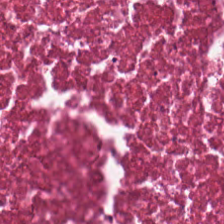This patch shows necrotic debris.
